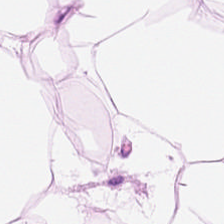H&E — Q: What tissue type is shown here?
A: It is adipose tissue.
